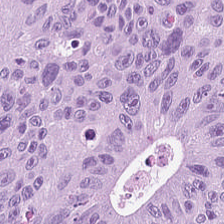0.5 µm/px. H&E.
This patch shows malignant epithelium.
